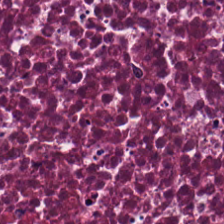The classification is necrotic debris.
